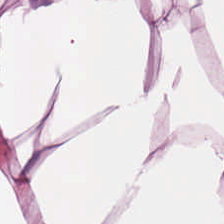Stain: hematoxylin-and-eosin stained section.
Predominant tissue: adipocytes.
